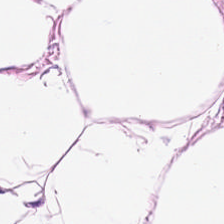Tissue = adipocytes.
